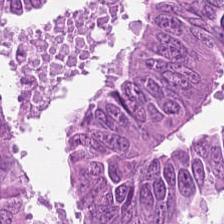Predominantly adenocarcinoma.
